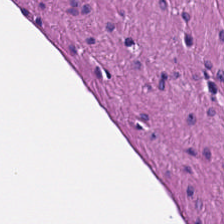This field is smooth-muscle tissue.
